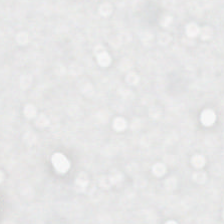224×224 px tile; hematoxylin and eosin — Finding — background.
